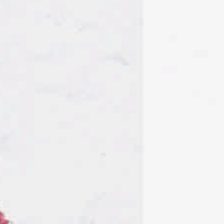Whole-slide-image patch · hematoxylin-and-eosin stained section.
No tissue.
